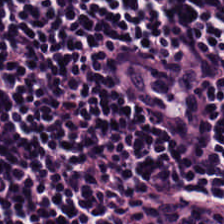Hematoxylin and eosin.
Showing lymphocytic infiltrate.
